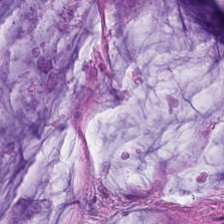H&E patch showing mucus.
